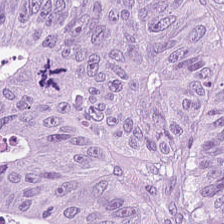H&E-stained tissue section — Q: What type of tissue is this?
A: It is malignant epithelium.
